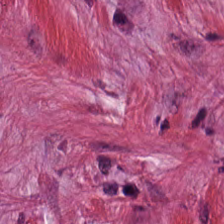Stain: H&E stain.
Tissue type: desmoplastic stroma.
